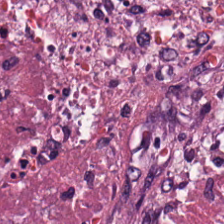The tissue is necrotic debris.
